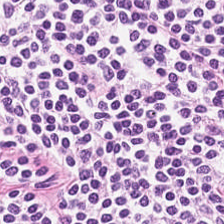Stain: hematoxylin and eosin.
Classification: lymphocyte aggregate.
